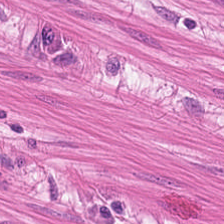H&E-stained tissue section. Whole-slide-image patch — Predominantly muscularis.
